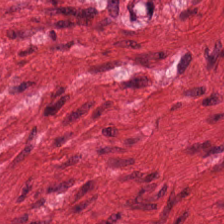224×224 pixel tile. Hematoxylin and eosin. Finding — muscularis.
